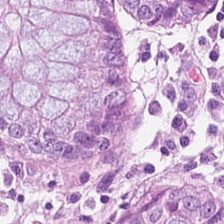H&E. The tissue type is benign colonic mucosa.
